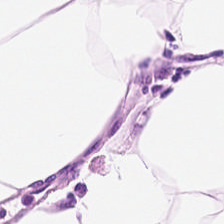Brightfield; H&E.
The tissue here is adipose.
